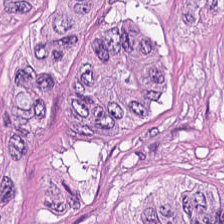224×224 px tile · H&E.
Classification — adenocarcinoma.
